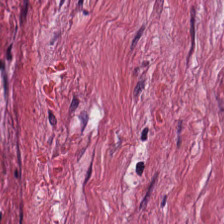FFPE tissue section. Hematoxylin and eosin. {"tissue_type": "cancer-associated stroma"}
